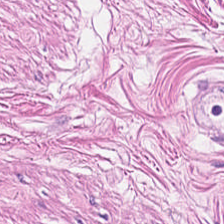WSI patch; hematoxylin and eosin. Tissue class = smooth muscle.
